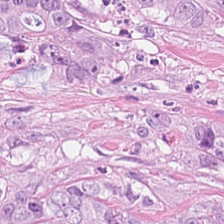The tissue type is tumor epithelium.
